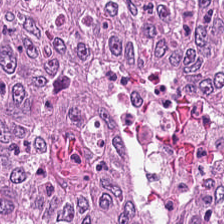20× equivalent magnification. H&E-stained tissue section — This field is tumor epithelium.
